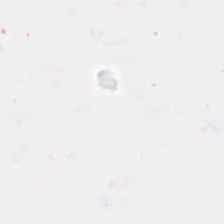The field content is no tissue.
